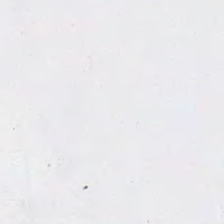224×224 px patch; hematoxylin and eosin — Finding — empty background.
